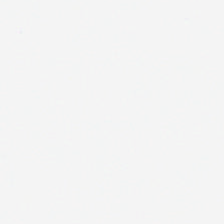H&E-stained tissue section — Q: What is shown here?
A: The field shows background.
